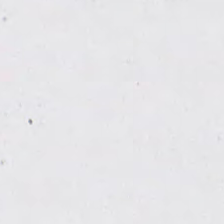Hematoxylin and eosin — Content: background.
